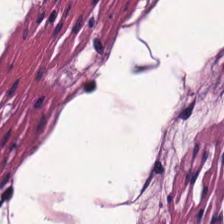H&E-stained tissue section · brightfield. Predominant tissue: muscularis.
